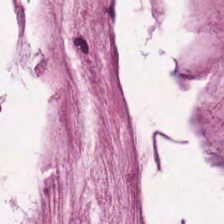224×224 px tile; H&E. Finding → mucus.
